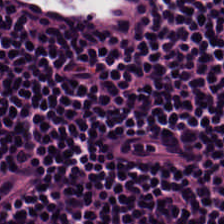H&E. 0.5 µm/px. The tissue class is lymphocytic infiltrate.
